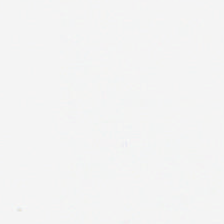H&E · WSI patch.
This patch shows empty background.
